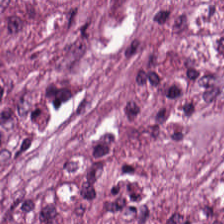H&E-stained tissue section. This field is tumor stroma.
